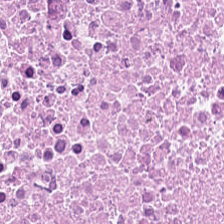H&E — This field is cellular debris.
